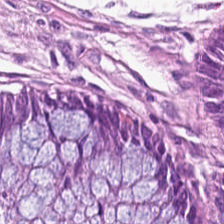H&E stain — Q: Identify the tissue.
A: The field shows normal colonic mucosa.
